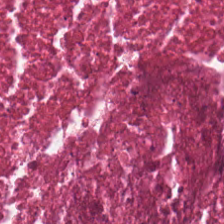The predominant tissue is cellular debris.
